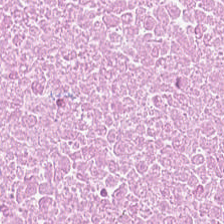H&E-stained tissue section — Q: What tissue type is shown here?
A: It is necrotic debris.
